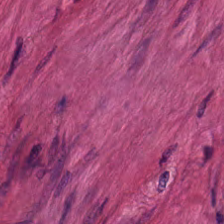Classification = muscularis.
